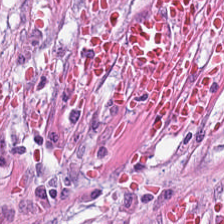224×224 px patch · whole-slide-image patch · H&E.
Classification — cancer-associated stroma.
